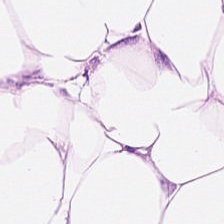Impression → adipose tissue.
